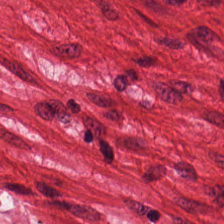This patch shows smooth muscle.
